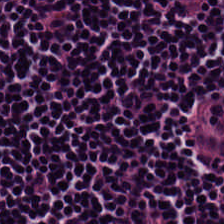FFPE · H&E-stained tissue section.
The tissue here is lymphoid infiltrate.
